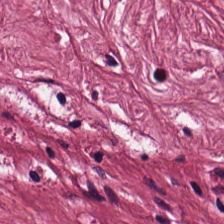The classification is desmoplastic stroma.
